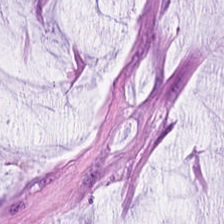Stain: H&E stain.
Tissue: mucus.
